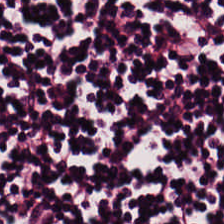H&E · brightfield.
Histology → lymphocytes.
